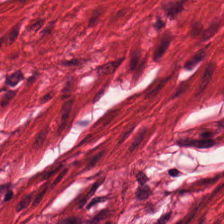Hematoxylin and eosin — Muscularis.
